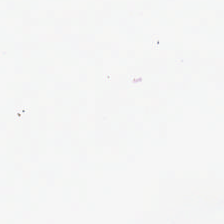Content — background.
